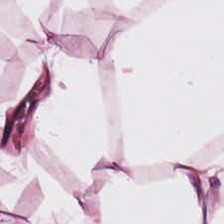This field is adipose tissue.
